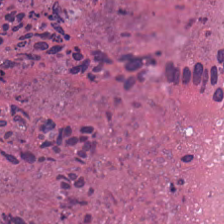Brightfield microscopy · 224×224 px patch · hematoxylin-and-eosin stained section.
Predominant tissue: debris.
